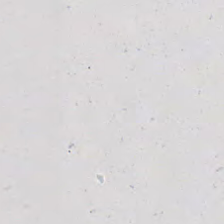Background — no tissue in this field.
